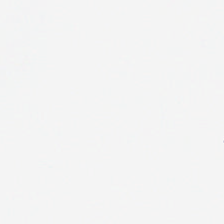Empty background.
